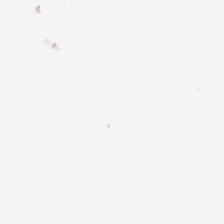Impression — background.
